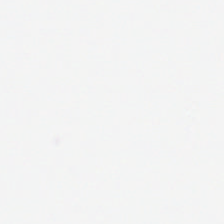Stain: H&E.
Resolution: 0.5 microns per pixel.
Content: background.
